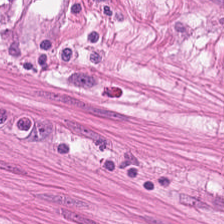This patch shows smooth-muscle tissue.
